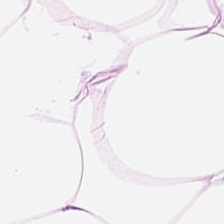Stain: H&E-stained tissue section.
Tissue class: adipocytes.
